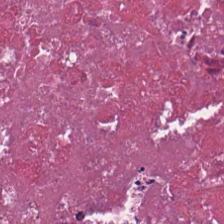Hematoxylin-and-eosin stained section. This patch shows necrotic debris.
